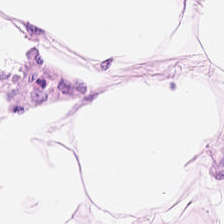H&E stain. 0.5 µm/px. Formalin-fixed paraffin-embedded section — Showing adipose tissue.
